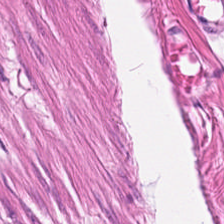H&E stain.
Q: What type of tissue is this?
A: Muscularis.
